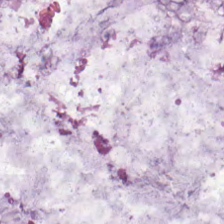Tissue class: mucus.
